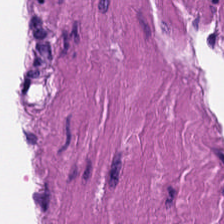H&E.
Tissue type — smooth muscle.
